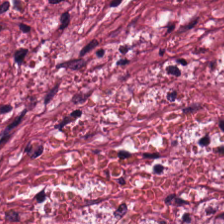H&E. Tissue — tumor-associated stroma.
